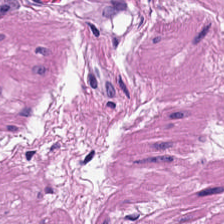0.5 µm per pixel; 224×224 px tile; hematoxylin-and-eosin stained section — Classification: smooth-muscle tissue.
